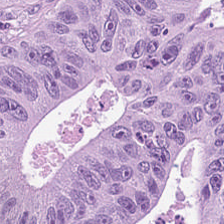Stain: hematoxylin and eosin.
Classification: colorectal adenocarcinoma.
